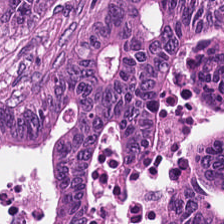H&E-stained section; the field shows colorectal adenocarcinoma.
